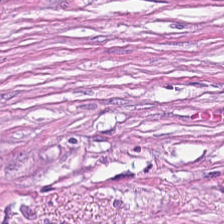Impression → desmoplastic stroma.
